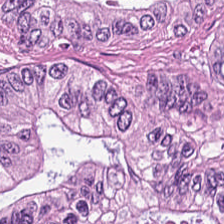Predominant tissue — malignant epithelium.
